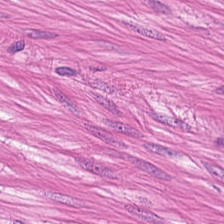Whole-slide-image patch · H&E-stained tissue section.
This patch shows smooth muscle.
